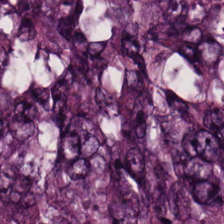H&E stain; brightfield microscopy; formalin-fixed paraffin-embedded section.
This patch shows tumor epithelium.
